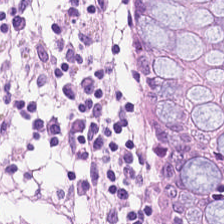H&E.
Q: What is shown here?
A: Benign colonic mucosa.
